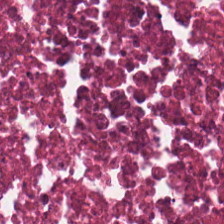Hematoxylin-and-eosin stained section.
Q: What is shown here?
A: Debris.
